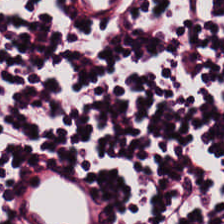The tissue here is lymphoid infiltrate.
